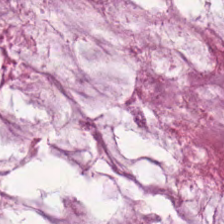Hematoxylin and eosin. The predominant tissue is mucin.
